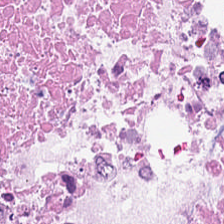Stain: H&E-stained tissue section.
Predominant tissue: necrotic debris.
